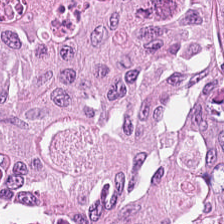Stain: H&E-stained tissue section.
Acquisition: whole-slide-image patch.
Tissue class: colorectal adenocarcinoma epithelium.
